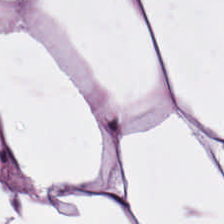This field is fat tissue.
